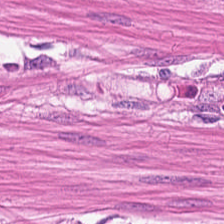H&E.
{"tissue_type": "smooth muscle"}
